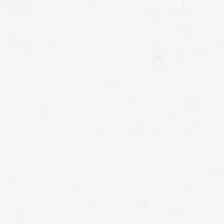{"content": "background (no tissue)"}
